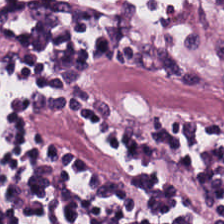FFPE tissue section · H&E stain · 224×224 pixel tile — Q: What does this patch show?
A: Lymphocyte aggregate.
